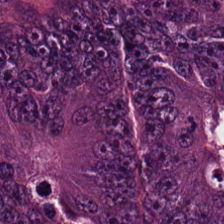H&E-stained tissue section. This field is malignant epithelium.
